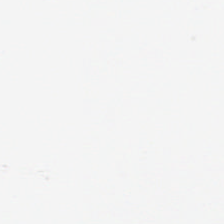H&E; WSI patch; FFPE — Empty field — empty background.
